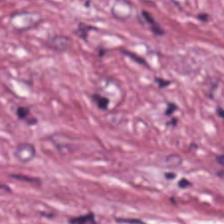224×224 px tile; H&E-stained tissue section. Predominantly cancer-associated stroma.
